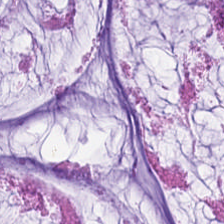Hematoxylin-and-eosin stained section · 224×224 px patch.
The predominant tissue is mucin.
